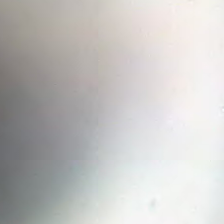Stain: hematoxylin-and-eosin stained section.
Tile size: 224×224 px tile.
Classification: empty background.
